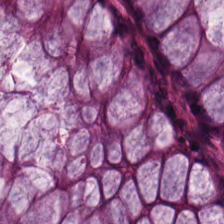Hematoxylin-and-eosin stained section — Tissue — normal colon mucosa.
